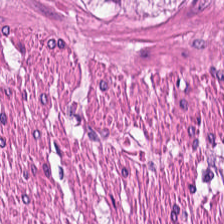H&E-stained tissue section.
Classification — muscularis.
